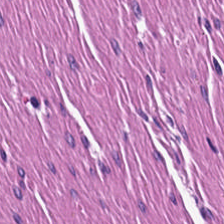224×224 px patch · H&E — Q: What tissue type is shown here?
A: This is muscularis.
